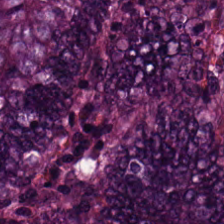Hematoxylin and eosin; whole-slide-image patch.
Classification = colorectal adenocarcinoma.
